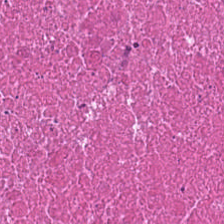Hematoxylin and eosin · formalin-fixed paraffin-embedded section. Q: What is the predominant tissue type?
A: The field shows cellular debris.
